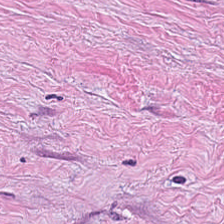Hematoxylin-and-eosin stained section — Q: What is shown in this field?
A: The field shows cancer-associated stroma.
